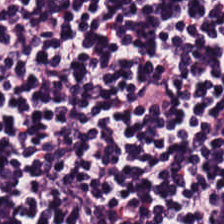Hematoxylin and eosin.
Q: What type of tissue is this?
A: The field shows lymphocyte aggregate.
